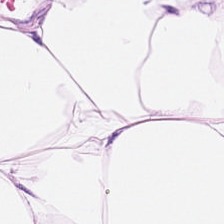FFPE; H&E stain.
Classification: adipocytes.
